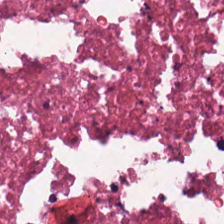Stain: H&E.
Tissue class: debris.
